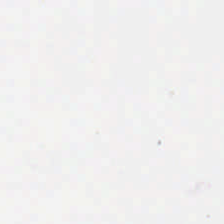Field content = background.
